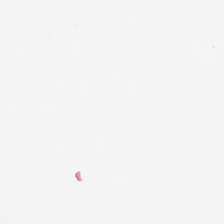Content — no tissue.
